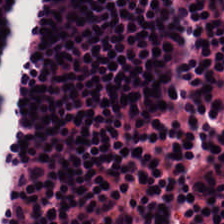Hematoxylin and eosin.
The predominant tissue is lymphocytes.
